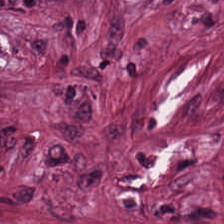H&E stain — {"tissue_type": "tumor stroma"}
